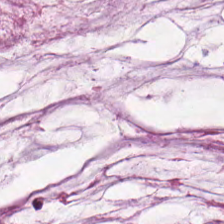H&E · brightfield microscopy.
The predominant tissue is extracellular mucin.
